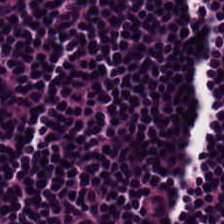Showing lymphocytic infiltrate.
